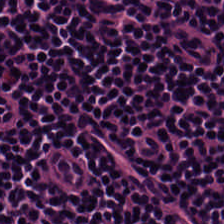H&E-stained tissue section. Tissue class: lymphocytes.
